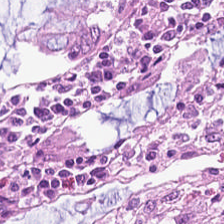H&E-stained tissue section. The tissue here is benign colonic mucosa.
